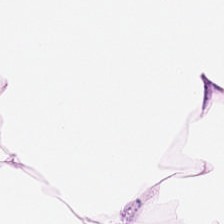224×224 px patch. Hematoxylin and eosin.
Fat tissue.
